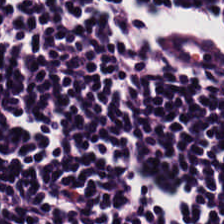Stain: H&E.
Tissue type: lymphocytic infiltrate.
